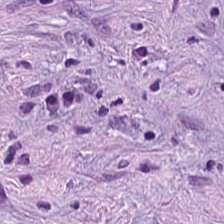Stain: H&E-stained tissue section.
Tile size: 224×224 pixel tile.
Tissue: cancer-associated stroma.
